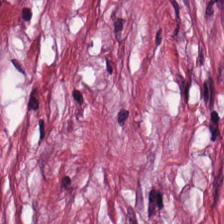The tissue here is tumor-associated stroma.
